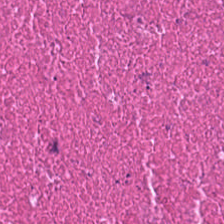The classification is necrotic debris.
